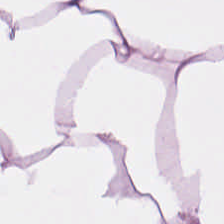Predominant tissue: adipocytes.
